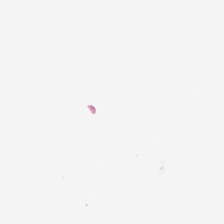Q: What is shown here?
A: This is background (no tissue).
